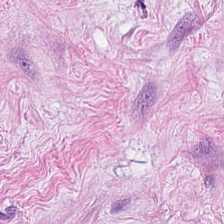The tissue type is tumor stroma.
